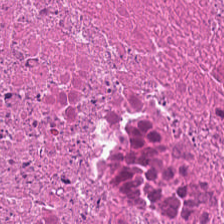H&E-stained tissue section. Histology → necrotic debris.
